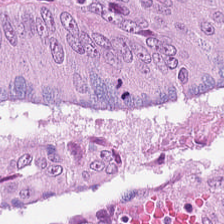H&E-stained tissue section. Predominant tissue: adenocarcinoma.
